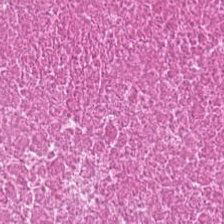FFPE. H&E — Q: What type of tissue is this?
A: It is necrotic debris.
